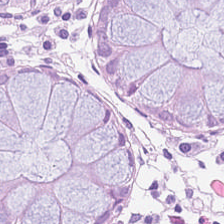H&E stain.
This field is normal colon mucosa.
